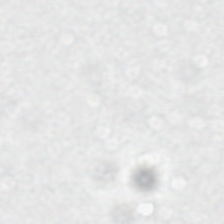The classification is background (no tissue).
